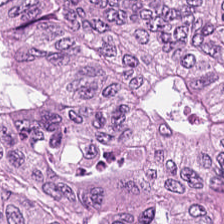FFPE · H&E — {"tissue_type": "adenocarcinoma"}
